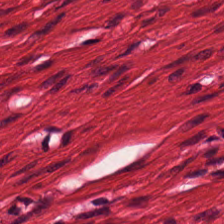H&E stain — Histology → smooth-muscle tissue.
